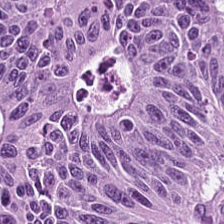H&E stain. Q: What is shown here?
A: It is colorectal adenocarcinoma epithelium.
